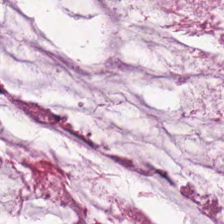H&E stain · 0.5 µm per pixel. This patch shows extracellular mucin.
